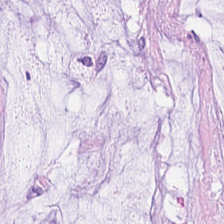Hematoxylin-and-eosin stained section.
Showing mucin.
